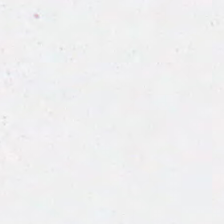The content is background.
